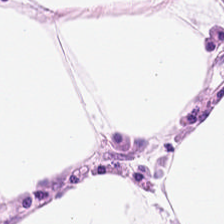H&E stain. Showing adipocytes.
